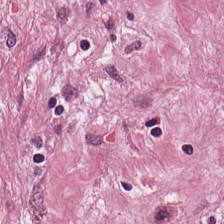H&E stain. The predominant tissue is cancer-associated stroma.
